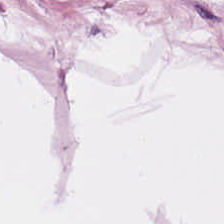H&E. Brightfield — Showing adipose tissue.
